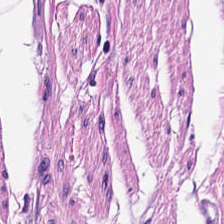H&E · 0.5 microns per pixel — {"tissue_type": "smooth-muscle tissue"}
